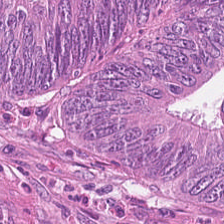H&E. Q: Classify this patch.
A: This is colorectal adenocarcinoma epithelium.
